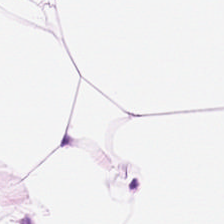Brightfield microscopy · H&E-stained tissue section — Tissue class — adipocytes.
